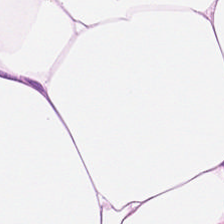Showing adipose.
